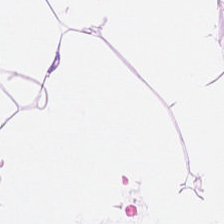Predominant tissue — fat tissue.
